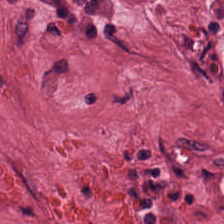Hematoxylin-and-eosin stained section — Q: Classify this patch.
A: The field shows tumor stroma.
